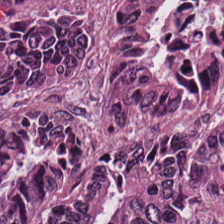H&E. Tissue class — tumor epithelium.
